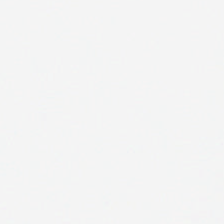H&E stain — The field content is empty background.
